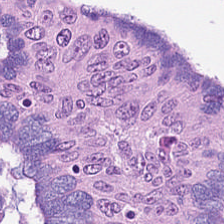H&E stain · 224×224 px patch — Histology → adenocarcinoma.
